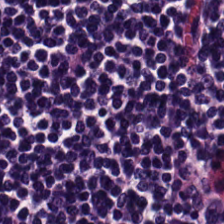Hematoxylin-and-eosin stained section. 224×224 px patch. This patch shows lymphoid infiltrate.
